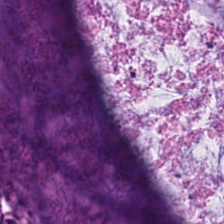Stain: hematoxylin and eosin.
Preparation: formalin-fixed paraffin-embedded section.
Tile size: 224×224 px patch.
Tissue type: mucin.
